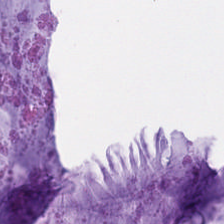0.5 microns per pixel. H&E stain. Brightfield. Finding — extracellular mucin.
